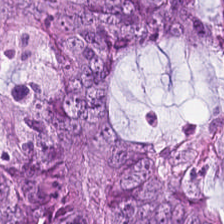Formalin-fixed paraffin-embedded section; H&E-stained tissue section.
Tissue type: colorectal adenocarcinoma.
